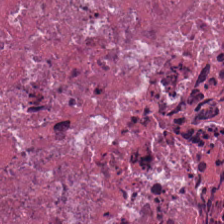Q: What tissue type is shown here?
A: It is debris.
